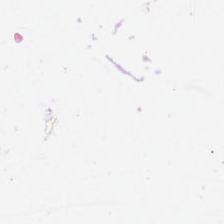Q: What is shown here?
A: Background (no tissue).
